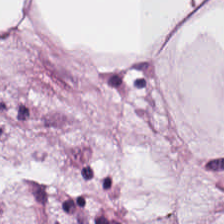FFPE tissue section; H&E stain. Classification = adipocytes.
